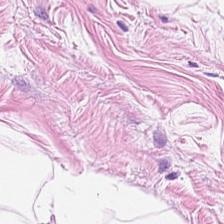Stain: H&E-stained tissue section.
Tissue class: adipocytes.
